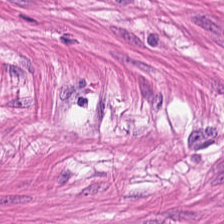20× equivalent magnification; H&E; whole-slide-image patch — {"tissue_type": "smooth-muscle tissue"}
